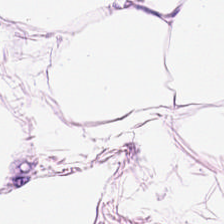224×224 px patch. H&E. 0.5 microns per pixel. Tissue class: adipose tissue.
